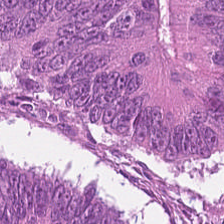Hematoxylin and eosin. Predominant tissue: adenocarcinoma.
